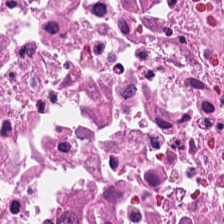H&E — debris.
